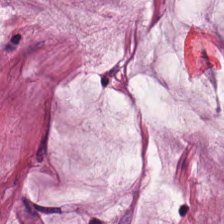FFPE · 0.5 microns per pixel · hematoxylin-and-eosin stained section — {"tissue_type": "mucin"}
